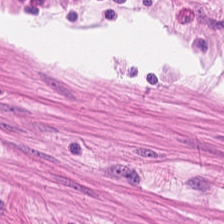Hematoxylin and eosin — Tissue = muscularis.
